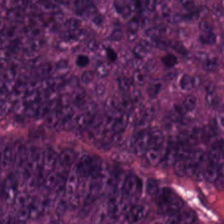0.5 µm/px; H&E stain; 224×224 pixel tile. Predominantly colorectal adenocarcinoma epithelium.
